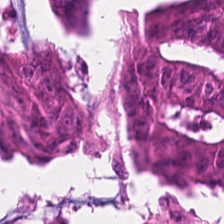224×224 pixel tile · H&E-stained tissue section — Predominantly malignant epithelium.
